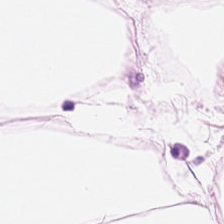Q: What type of tissue is this?
A: This is adipocytes.
